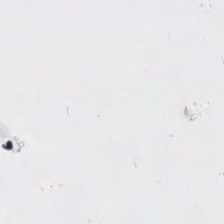H&E · 224×224 px patch. Empty field — empty background.
